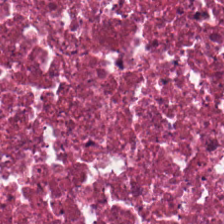H&E-stained tissue section; 224×224 pixel tile — The predominant tissue is cellular debris.
